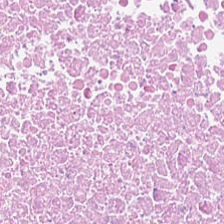Hematoxylin and eosin; formalin-fixed paraffin-embedded section.
Q: Identify the tissue.
A: Necrotic debris.
